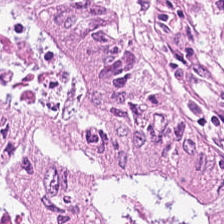Histology → adenocarcinoma.
